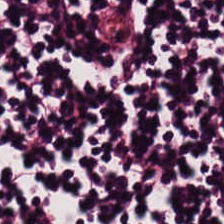Hematoxylin and eosin — The tissue is lymphoid infiltrate.
